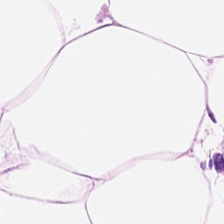FFPE tissue section. 0.5 µm per pixel. H&E-stained tissue section.
Histology → adipose.
